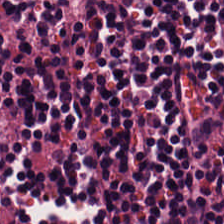H&E-stained section; the field shows lymphocytes.
